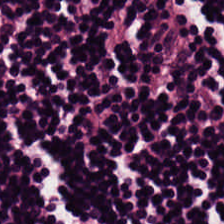Hematoxylin-and-eosin stained section — Q: What type of tissue is this?
A: Lymphoid infiltrate.
